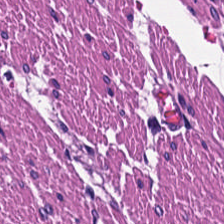Brightfield microscopy; H&E — This patch shows smooth-muscle tissue.
